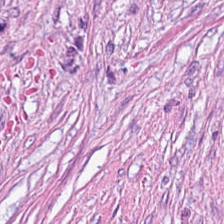Tissue type — cancer-associated stroma.
